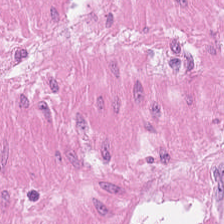H&E-stained tissue section — The classification is muscularis.
